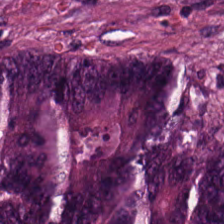Hematoxylin and eosin — Q: What tissue type is shown here?
A: This is colorectal adenocarcinoma epithelium.
